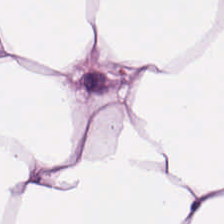H&E-stained tissue section. 0.5 µm per pixel. Q: What is shown in this field?
A: This is fat tissue.
